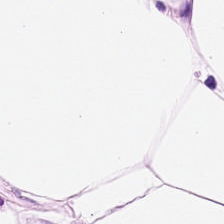Classification — adipose.
